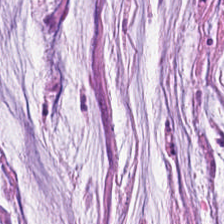H&E stain. Brightfield.
Impression → mucus.
